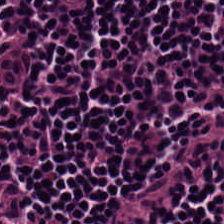H&E stain · 224×224 px tile.
Classification: lymphocytes.
